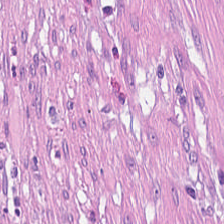Hematoxylin and eosin. Tissue: tumor-associated stroma.
